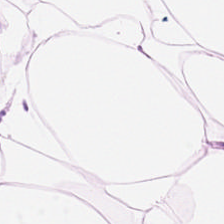The classification is fat tissue.
